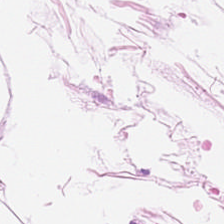Q: What tissue is shown?
A: The field shows adipocytes.
